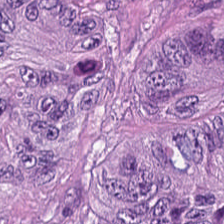Hematoxylin and eosin. The predominant tissue is colorectal adenocarcinoma.
